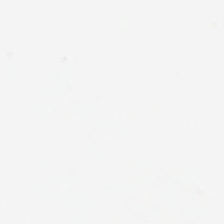224×224 pixel tile · H&E-stained tissue section — {"content": "no tissue"}
